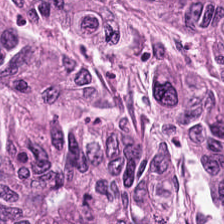Brightfield · H&E-stained tissue section — Tissue class — malignant epithelium.
